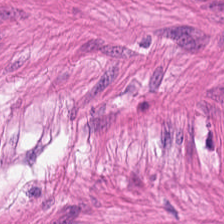H&E-stained tissue section · 0.5 microns per pixel · 224×224 px patch — Q: What is the predominant tissue type?
A: It is smooth muscle.
